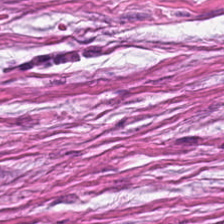H&E · 224×224 px tile · FFPE. Showing desmoplastic stroma.
